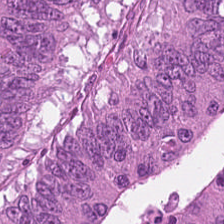FFPE. Hematoxylin and eosin. 0.5 µm/px. Q: Identify the tissue.
A: Adenocarcinoma.
